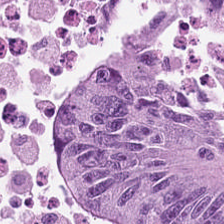H&E-stained tissue section.
{"tissue_type": "adenocarcinoma"}
